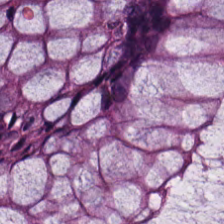H&E stain. Q: What is shown here?
A: It is non-neoplastic colon mucosa.
